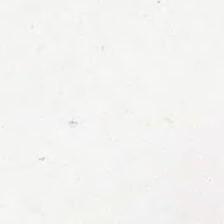Q: What does this patch show?
A: Background.
